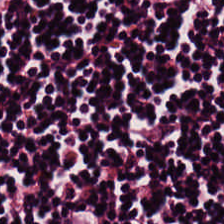224×224 pixel tile · H&E stain.
The tissue here is lymphocyte aggregate.
